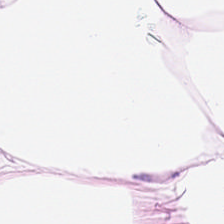Hematoxylin and eosin — {"tissue_type": "fat tissue"}
